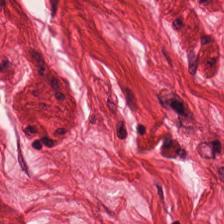Hematoxylin and eosin. This field is smooth muscle.
